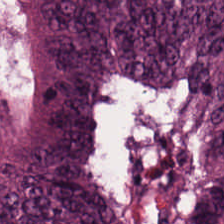H&E-stained tissue section. Showing malignant epithelium.
